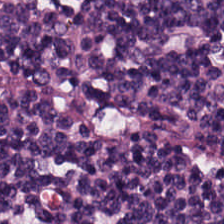Q: What is the predominant tissue type?
A: It is lymphocytic infiltrate.
